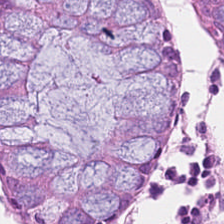0.5 microns per pixel; H&E; 224×224 pixel tile. Tissue — benign colonic mucosa.
